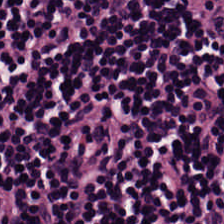Hematoxylin-and-eosin stained section. Predominant tissue = lymphocyte aggregate.
